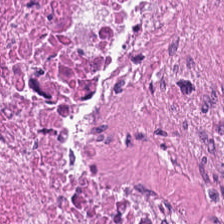H&E-stained tissue section. Q: What is shown here?
A: This is debris.
